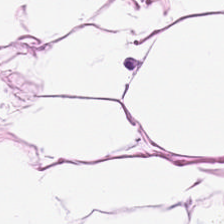Hematoxylin and eosin — Finding → adipose tissue.
